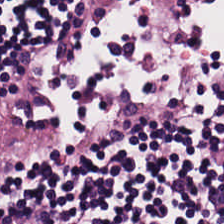Hematoxylin-and-eosin stained section.
Impression — lymphocytic infiltrate.
